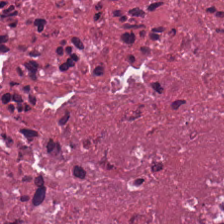Hematoxylin and eosin. Impression — cellular debris.
